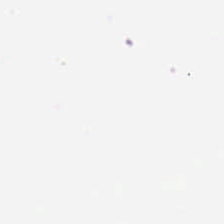Hematoxylin-and-eosin stained section — Classification = background (no tissue).
